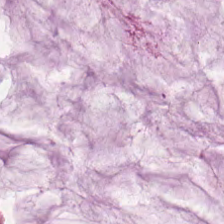Finding — extracellular mucin.
